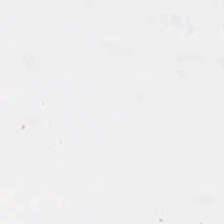H&E stain. Q: What does this patch show?
A: The field shows no tissue.
